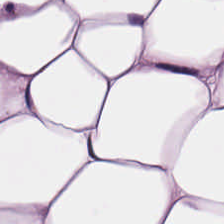224×224 px patch. 0.5 µm/px. H&E-stained tissue section.
Classification: adipose tissue.
